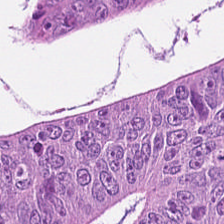The tissue here is adenocarcinoma.
